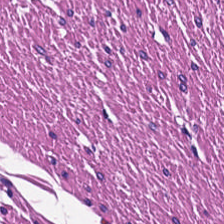Impression — muscularis.
